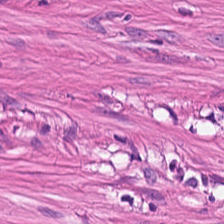H&E — muscularis.
